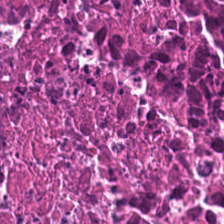FFPE tissue section · hematoxylin-and-eosin stained section. The tissue is debris.
